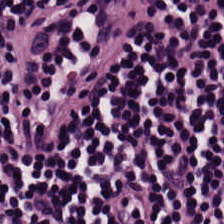Q: What is shown in this field?
A: It is lymphoid infiltrate.
